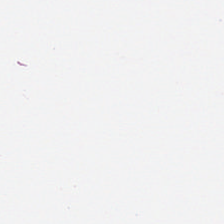This field is background (no tissue).
